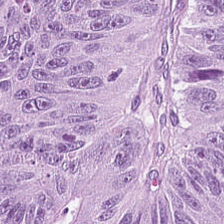H&E-stained tissue section. Colorectal adenocarcinoma.
